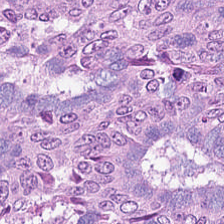H&E stain.
Malignant epithelium.
